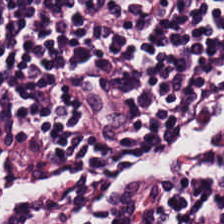H&E-stained tissue section — Predominantly lymphocyte aggregate.
